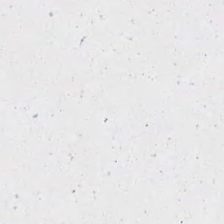Hematoxylin and eosin. No tissue present; background only.
